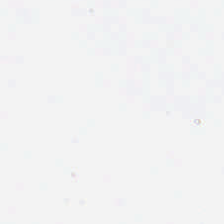Finding — no tissue.
